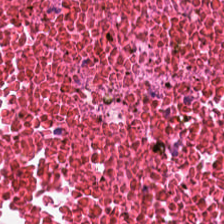The predominant tissue is necrotic debris.
